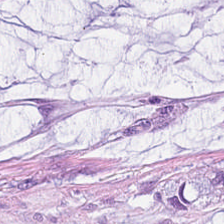H&E patch showing mucus.
